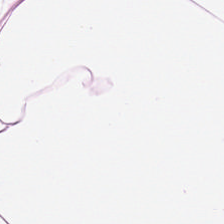This field is adipose.
